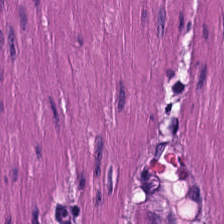Tissue type — smooth muscle.
